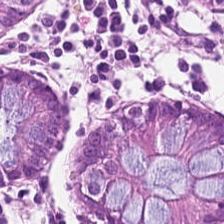Q: What type of tissue is this?
A: This is non-neoplastic colon mucosa.
